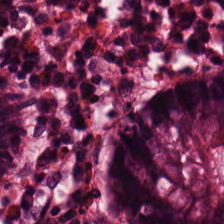Whole-slide-image patch · H&E. Classification: normal colonic mucosa.
